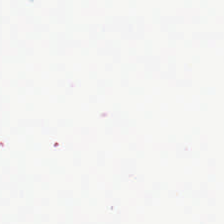H&E stain. The classification is no tissue.
